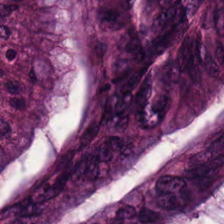Stain: H&E stain.
Acquisition: WSI patch.
Classification: colorectal adenocarcinoma epithelium.
